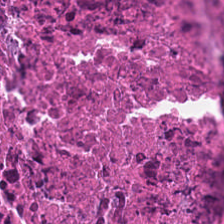{"tissue_type": "debris"}
